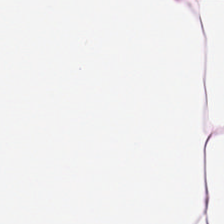Hematoxylin and eosin · whole-slide-image patch — Q: What type of tissue is this?
A: This is adipose.
